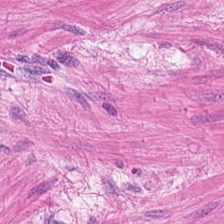H&E · formalin-fixed paraffin-embedded section. This patch shows muscularis.
